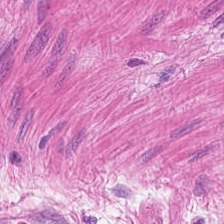H&E · 224×224 pixel tile — Showing smooth muscle.
